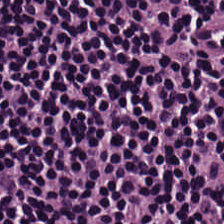This field is lymphoid infiltrate.
